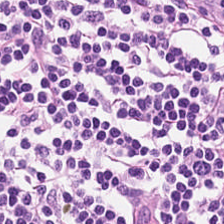Hematoxylin and eosin.
Showing lymphocytic infiltrate.
